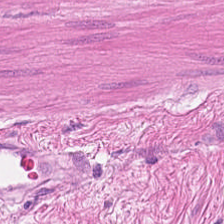Q: What type of tissue is this?
A: This is smooth muscle.
